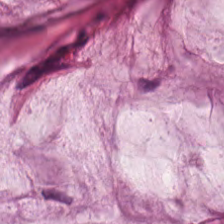Formalin-fixed paraffin-embedded section · hematoxylin and eosin — The predominant tissue is mucus.
